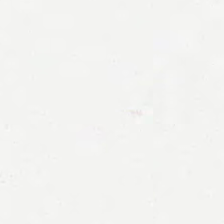0.5 microns per pixel. FFPE. H&E.
Finding → background.
